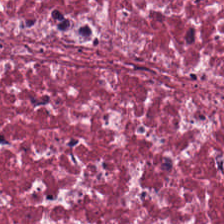H&E stain — The tissue here is tumor stroma.
